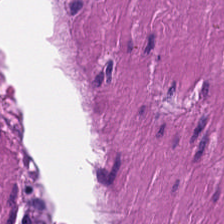H&E stain.
Classification: smooth-muscle tissue.
